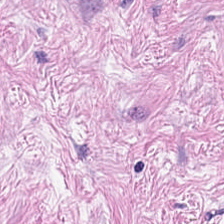H&E. Tissue class — cancer-associated stroma.
